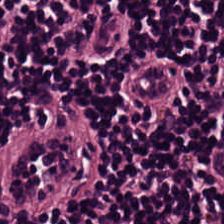Hematoxylin and eosin — This field is lymphocyte aggregate.
